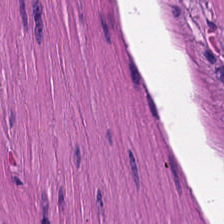Stain: hematoxylin-and-eosin stained section.
Tissue type: muscularis.
